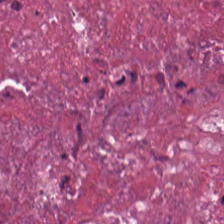Tissue class — necrotic debris.
